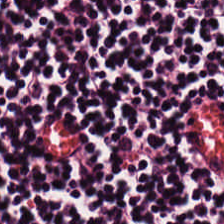224×224 pixel tile. H&E-stained tissue section. The tissue type is lymphocytic infiltrate.
